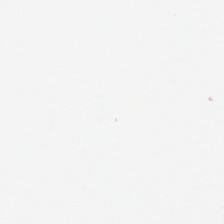H&E. 0.5 µm/px. Whole-slide-image patch.
Background.
